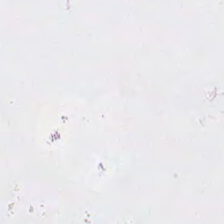H&E-stained tissue section.
Empty field — no tissue.
